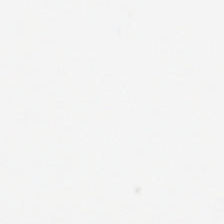This field is background (no tissue).
